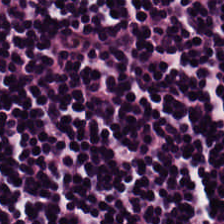Formalin-fixed paraffin-embedded section. H&E-stained tissue section — Tissue class = lymphocytic infiltrate.
